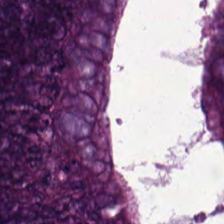Q: What is the predominant tissue type?
A: The field shows adenocarcinoma.
